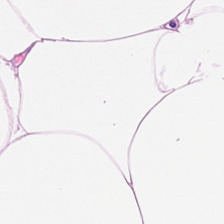Brightfield microscopy. Hematoxylin and eosin. FFPE tissue section — This field is adipocytes.
